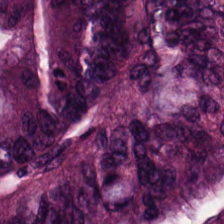224×224 px patch. Hematoxylin-and-eosin stained section. Brightfield — Tissue class — colorectal adenocarcinoma epithelium.
